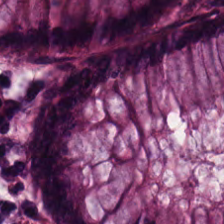H&E stain. Q: Identify the tissue.
A: It is non-neoplastic colon mucosa.
